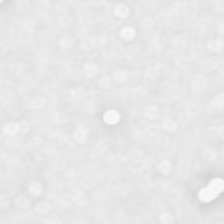Stain: hematoxylin-and-eosin stained section.
Classification: empty background.
